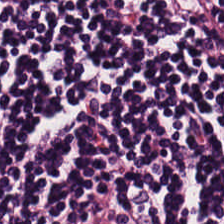H&E-stained tissue section.
The tissue class is lymphocytic infiltrate.
